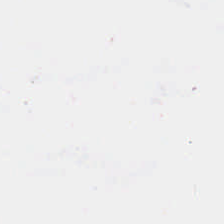H&E. No tissue present; background only.
